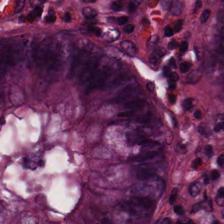H&E-stained section; the field shows non-neoplastic colon mucosa.
